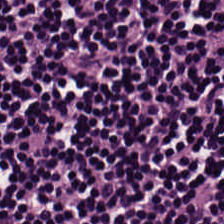0.5 microns per pixel; H&E stain. Showing lymphoid infiltrate.
